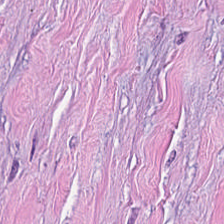Formalin-fixed paraffin-embedded section · 224×224 px tile · H&E-stained tissue section.
The tissue here is cancer-associated stroma.
